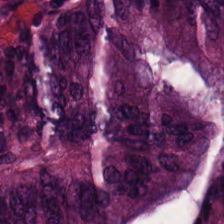H&E — Q: What tissue is shown?
A: It is colorectal adenocarcinoma.
